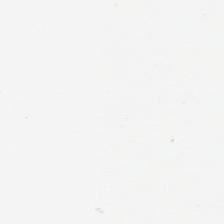224×224 px tile; H&E stain; 20× equivalent magnification — Background — no tissue in this field.
